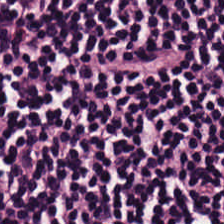224×224 px patch; FFPE; H&E-stained tissue section. Histology → lymphocytes.
